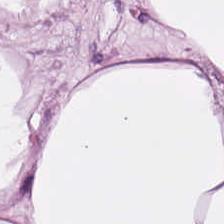Formalin-fixed paraffin-embedded section. H&E stain — Impression — fat tissue.
